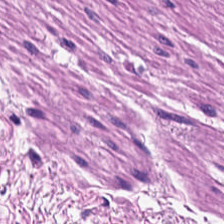Stain: H&E.
Tissue: smooth-muscle tissue.
